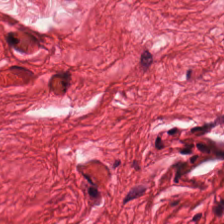H&E stain — The tissue here is muscularis.
